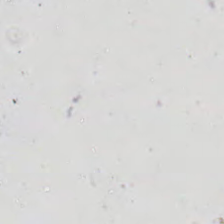This field is background (no tissue).
